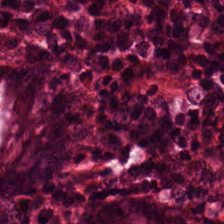The predominant tissue is normal colon mucosa.
